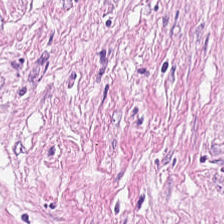Formalin-fixed paraffin-embedded section. Hematoxylin-and-eosin stained section — Histology — tumor stroma.
